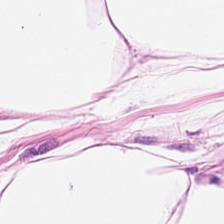Stain: H&E.
Acquisition: whole-slide-image patch.
Predominant tissue: adipose tissue.
